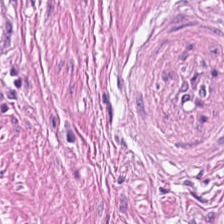H&E-stained tissue section. 224×224 px tile. This patch shows muscularis.
